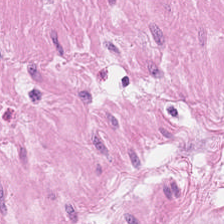Stain: H&E-stained tissue section.
Predominant tissue: smooth-muscle tissue.
